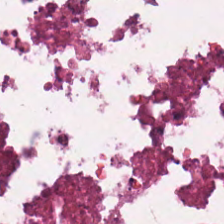H&E stain — Q: What is shown here?
A: The field shows cellular debris.
